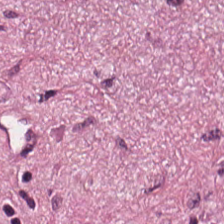0.5 microns per pixel; hematoxylin-and-eosin stained section — Tumor stroma.
